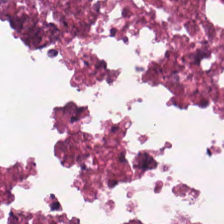Hematoxylin and eosin. Tissue — cellular debris.
